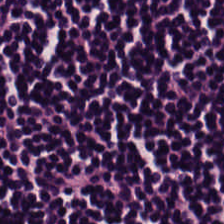{"tissue_type": "lymphocytic infiltrate"}
